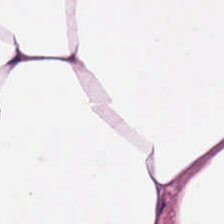Hematoxylin-and-eosin stained section.
Predominantly adipose.
